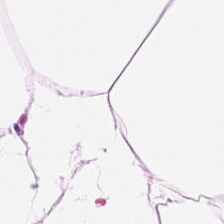Whole-slide-image patch; 20× equivalent magnification; hematoxylin and eosin.
Tissue class = adipose tissue.
